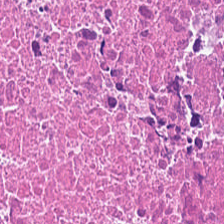H&E.
Predominantly debris.
